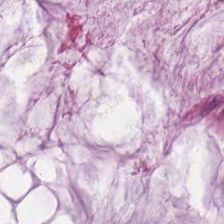The classification is mucus.
